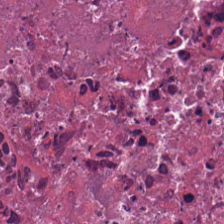H&E stain.
The predominant tissue is debris.
